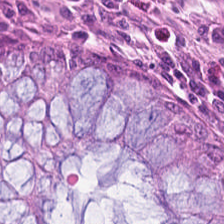Hematoxylin-and-eosin stained section · 0.5 microns per pixel.
Classification = normal colonic mucosa.
